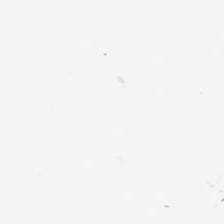H&E-stained tissue section. Histology → background (no tissue).
